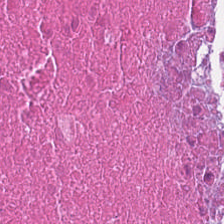Finding → cellular debris.
